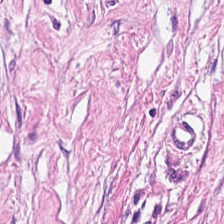Brightfield microscopy; FFPE; hematoxylin and eosin — Predominantly desmoplastic stroma.
